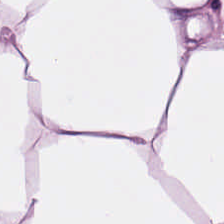FFPE; hematoxylin-and-eosin stained section — Showing adipose tissue.
